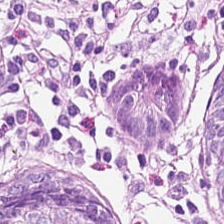224×224 pixel tile; hematoxylin and eosin; formalin-fixed paraffin-embedded section — Tissue class = non-neoplastic colon mucosa.
